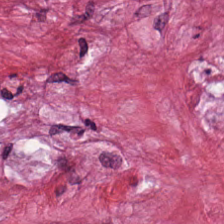H&E — The tissue here is desmoplastic stroma.
